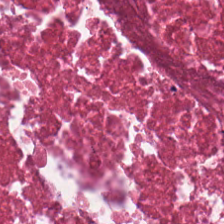Hematoxylin-and-eosin stained section.
Cellular debris.
